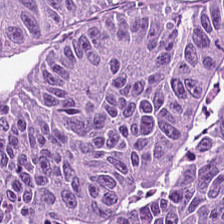0.5 µm per pixel; FFPE tissue section; hematoxylin-and-eosin stained section.
The predominant tissue is tumor epithelium.
